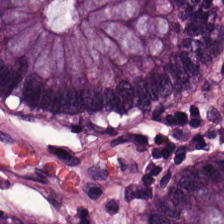Stain: H&E stain.
Tissue class: benign colonic mucosa.
